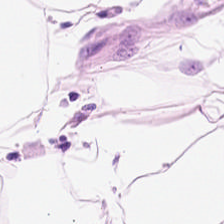Q: What is shown in this field?
A: It is adipocytes.
